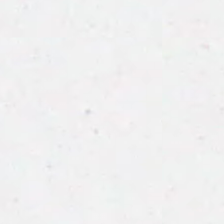H&E stain. Content — no tissue.
